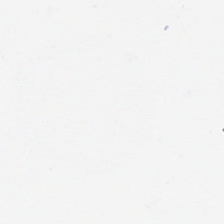This patch shows empty background.
